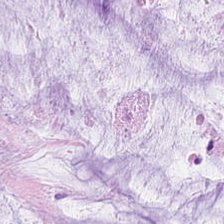Stain: H&E stain.
Tissue class: extracellular mucin.
